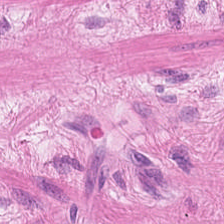H&E-stained tissue section; FFPE tissue section; brightfield microscopy — Q: Identify the tissue.
A: Smooth-muscle tissue.
